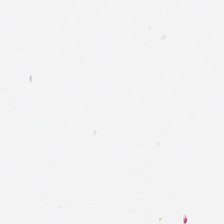H&E-stained tissue section; 0.5 µm/px — Empty field — no tissue.
